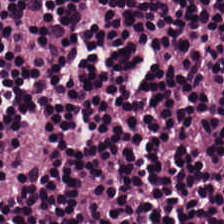Hematoxylin-and-eosin stained section. The predominant tissue is lymphoid infiltrate.
